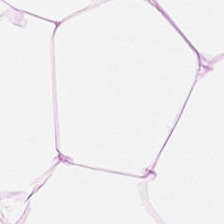H&E-stained tissue section. 0.5 µm per pixel. This patch shows adipocytes.
